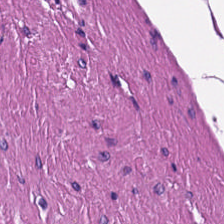FFPE; H&E stain — Tissue class — muscularis.
